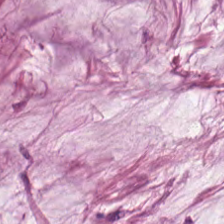Stain: hematoxylin and eosin.
Classification: extracellular mucin.
